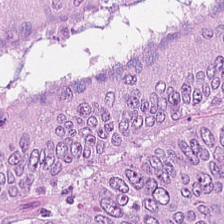Q: Classify this patch.
A: This is malignant epithelium.
